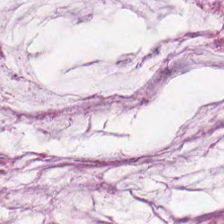H&E stain.
Tissue type: mucin.
